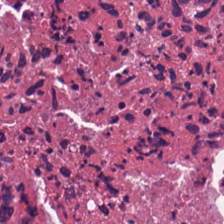0.5 µm/px · 224×224 px tile · hematoxylin-and-eosin stained section — Impression → cellular debris.
